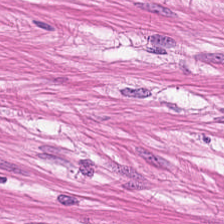FFPE tissue section; H&E.
Tissue class — smooth muscle.
